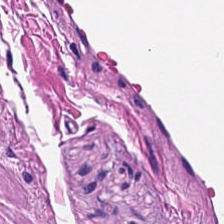Hematoxylin and eosin — The predominant tissue is smooth muscle.
